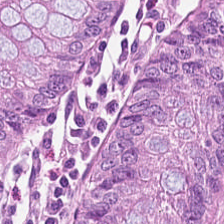Hematoxylin-and-eosin stained section; brightfield; 224×224 pixel tile.
Showing benign colonic mucosa.
